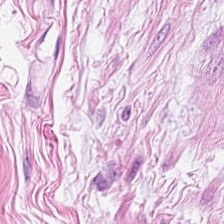Stain: H&E stain.
Resolution: 0.5 microns per pixel.
Tissue class: adipocytes.
